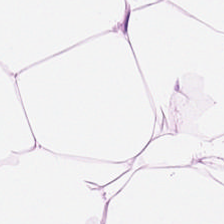Hematoxylin and eosin · formalin-fixed paraffin-embedded section.
Q: What tissue type is shown here?
A: It is adipose.
